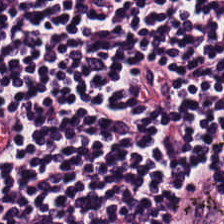Hematoxylin and eosin — Q: What is the predominant tissue type?
A: It is lymphoid infiltrate.
